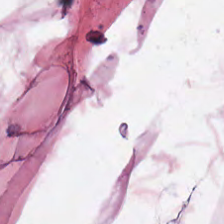H&E stain.
Tissue class — adipose tissue.
